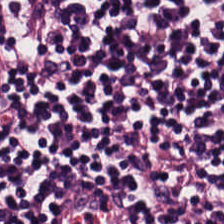Hematoxylin and eosin. This field is lymphocytic infiltrate.
